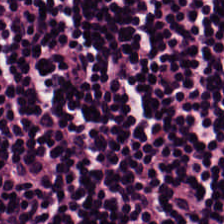The tissue type is lymphoid infiltrate.
